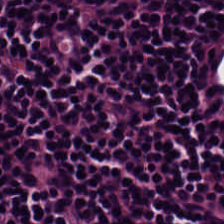Stain: H&E.
Tissue class: lymphocyte aggregate.
